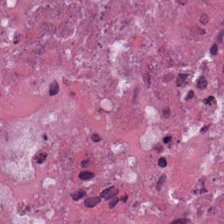H&E-stained tissue section. Cellular debris.
